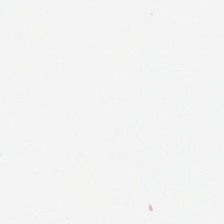Classification = no tissue.
